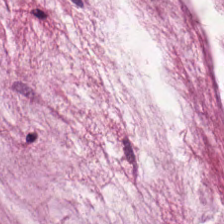Q: What is shown in this field?
A: Mucus.
